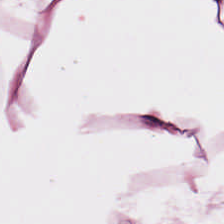H&E stain — Tissue class — adipose.
